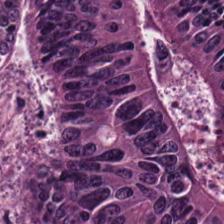224×224 px patch · H&E-stained tissue section — The predominant tissue is colorectal adenocarcinoma epithelium.
